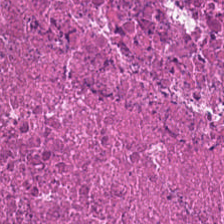H&E-stained tissue section. 0.5 µm/px.
Tissue class: necrotic debris.
